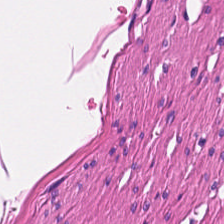Hematoxylin and eosin. The predominant tissue is muscularis.
